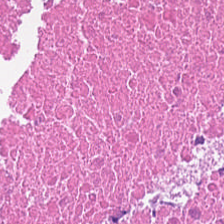Hematoxylin and eosin. This patch shows cellular debris.
